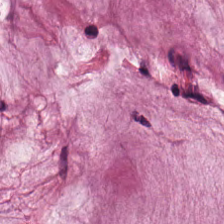This field is extracellular mucin.
